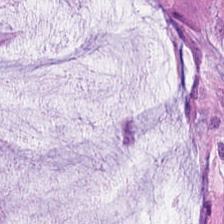Hematoxylin-and-eosin stained section. Showing mucus.
